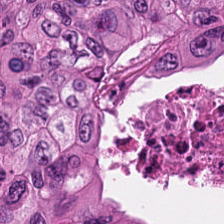H&E stain · FFPE tissue section. Histology — tumor epithelium.
